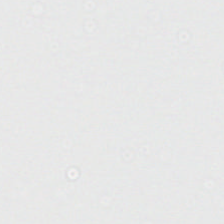Impression → no tissue.
